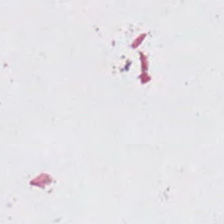H&E-stained tissue section. Q: What is shown here?
A: It is no tissue.
